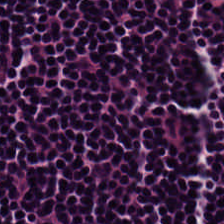WSI patch. 224×224 px patch. H&E stain. Q: What tissue type is shown here?
A: It is lymphoid infiltrate.
